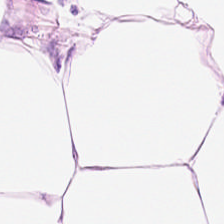Hematoxylin-and-eosin stained section; 20× equivalent magnification. Showing adipose.
